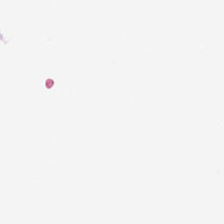Empty field — background (no tissue).
